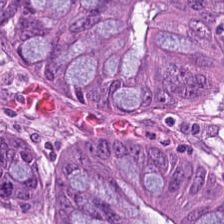Hematoxylin-and-eosin stained section. Tissue — malignant epithelium.
